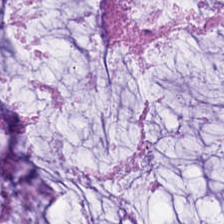Hematoxylin and eosin.
{"tissue_type": "mucin"}
